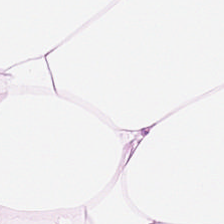Hematoxylin-and-eosin stained section. 0.5 microns per pixel. Brightfield microscopy — Tissue class = fat tissue.
